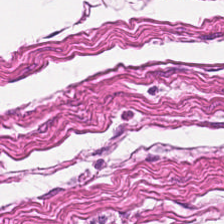H&E stain · 224×224 px patch — Classification: smooth-muscle tissue.
